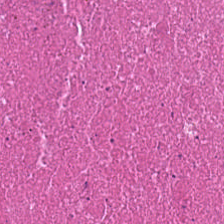H&E. Predominant tissue = necrotic debris.
